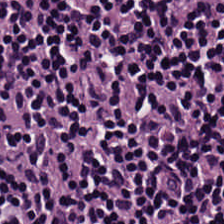Hematoxylin-and-eosin stained section. Whole-slide-image patch.
The tissue here is lymphocyte aggregate.
